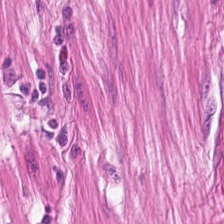Stain: hematoxylin and eosin.
Tissue class: muscularis.
